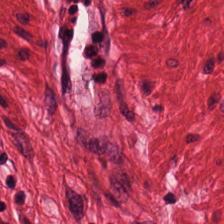Q: What is shown in this field?
A: This is smooth muscle.
